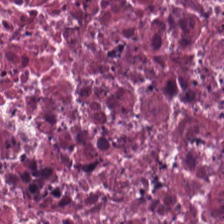Hematoxylin and eosin.
Tissue type = debris.
